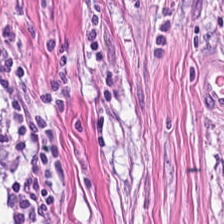H&E — {"tissue_type": "tumor stroma"}
